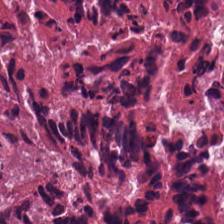H&E. Showing necrotic debris.
